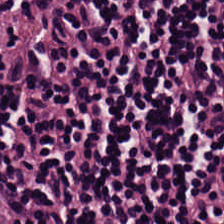H&E-stained tissue section.
Predominant tissue = lymphoid infiltrate.
